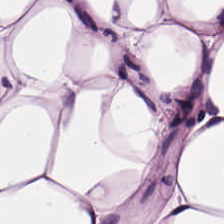Stain: hematoxylin-and-eosin stained section.
Tile size: 224×224 px tile.
Predominant tissue: adipose.
